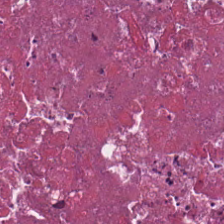FFPE · 20× equivalent magnification · hematoxylin-and-eosin stained section — Cellular debris.
